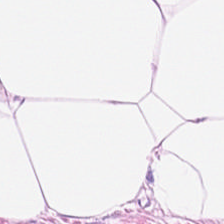Fat tissue.
